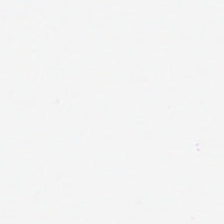The content is no tissue.
